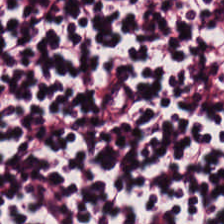Finding — lymphocytic infiltrate.
